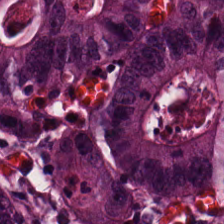Hematoxylin-and-eosin stained section; 0.5 µm per pixel.
Classification — malignant epithelium.
